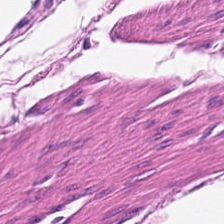Stain: H&E stain.
Preparation: FFPE.
Resolution: 0.5 µm/px.
Classification: muscularis.
